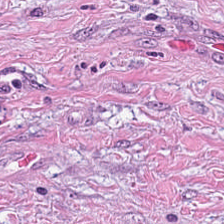224×224 px tile. H&E-stained tissue section — This patch shows desmoplastic stroma.
